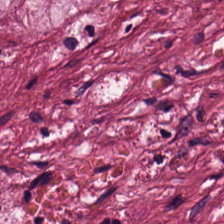Hematoxylin and eosin — Tissue type: cancer-associated stroma.
